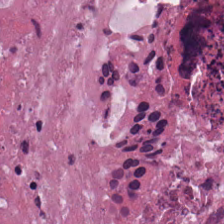FFPE tissue section; hematoxylin and eosin. The tissue type is debris.
